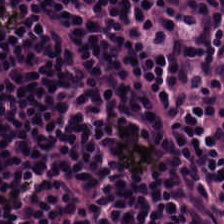Finding — lymphocytes.
